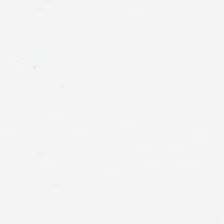H&E — Field content: no tissue.
